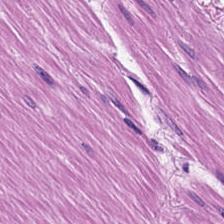Hematoxylin and eosin. Brightfield microscopy. Q: What is shown in this field?
A: Smooth-muscle tissue.
